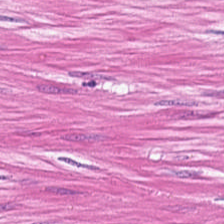H&E-stained tissue section. Q: Identify the tissue.
A: The field shows muscularis.
